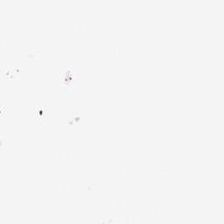Hematoxylin and eosin — Empty background.
